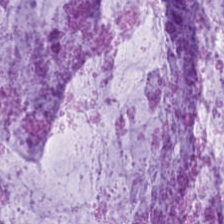Hematoxylin-and-eosin stained section.
Finding — mucus.
